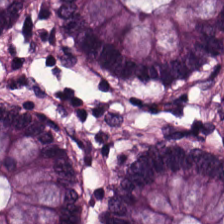Hematoxylin-and-eosin stained section · brightfield microscopy.
Benign colonic mucosa.
